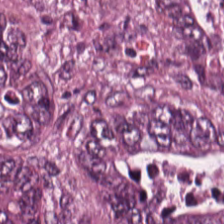Stain: H&E.
Preparation: FFPE.
Resolution: 20× equivalent magnification.
Tissue: colorectal adenocarcinoma.
